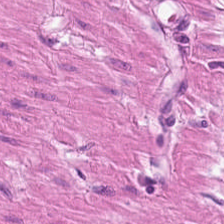H&E-stained tissue section — Predominantly smooth-muscle tissue.
